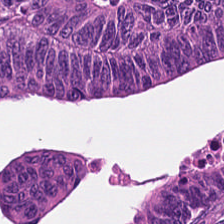H&E; FFPE.
Histology — malignant epithelium.
